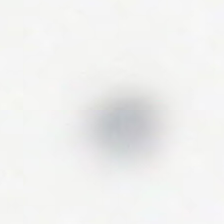FFPE tissue section; H&E stain. This field is background (no tissue).
